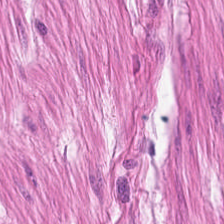Hematoxylin-and-eosin stained section. Smooth muscle.
